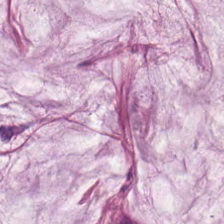Hematoxylin-and-eosin stained section.
The tissue here is mucus.
